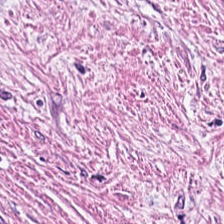H&E — The predominant tissue is cancer-associated stroma.
